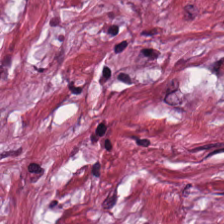H&E stain; 224×224 px tile; brightfield.
{"tissue_type": "tumor stroma"}
